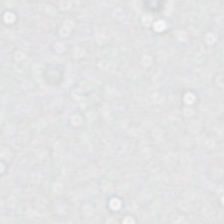H&E-stained tissue section.
Background — no tissue in this field.
